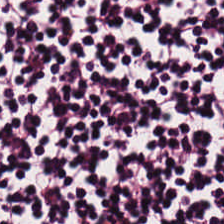Q: What does this patch show?
A: This is lymphocytes.
